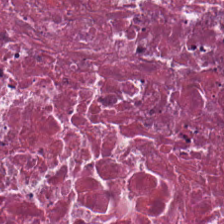Hematoxylin and eosin — This patch shows cellular debris.
